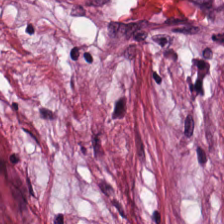Brightfield · hematoxylin-and-eosin stained section. The tissue here is cancer-associated stroma.
